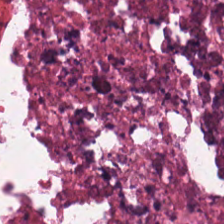H&E stain.
Q: What is shown here?
A: Necrotic debris.
